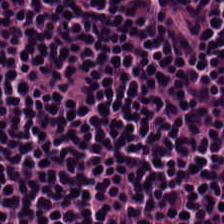224×224 px tile; hematoxylin-and-eosin stained section.
Lymphocytic infiltrate.
